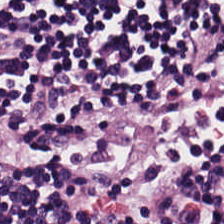Predominantly lymphoid infiltrate.
